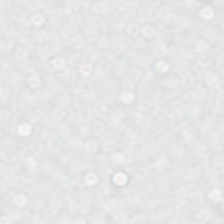0.5 microns per pixel; H&E-stained tissue section.
Background — no tissue in this field.
